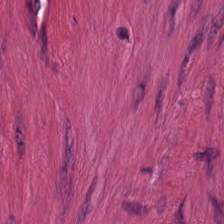Hematoxylin-and-eosin stained section; formalin-fixed paraffin-embedded section; 20× equivalent magnification — Smooth-muscle tissue.
